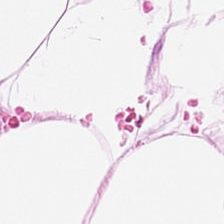Hematoxylin-and-eosin stained section.
Adipose tissue.
